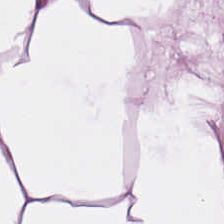Tissue = fat tissue.
